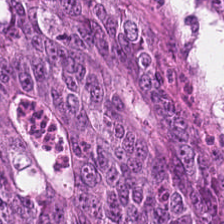H&E. 0.5 microns per pixel. Brightfield.
Histology → colorectal adenocarcinoma.
